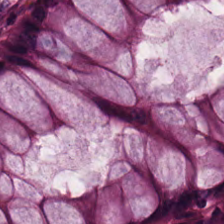H&E-stained tissue section. Tissue type — benign colonic mucosa.
